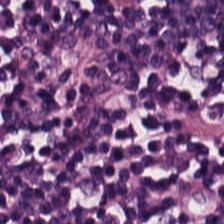Stain: hematoxylin-and-eosin stained section.
Predominant tissue: lymphoid infiltrate.
